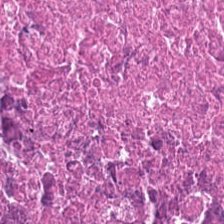H&E-stained tissue section; 224×224 px tile. Classification — debris.
